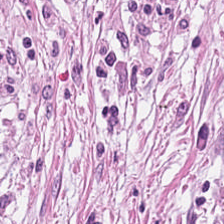Impression — cancer-associated stroma.
